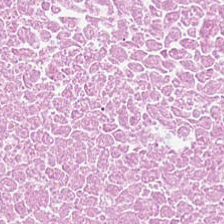This patch shows debris.
